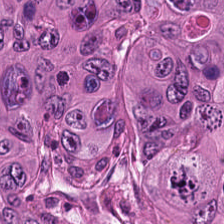H&E — colorectal adenocarcinoma epithelium.
